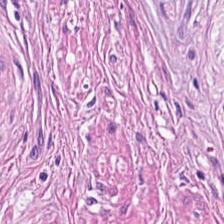Hematoxylin-and-eosin stained section. 224×224 px patch. This field is smooth muscle.
